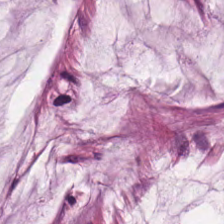Hematoxylin and eosin. Brightfield microscopy. 0.5 microns per pixel — This field is mucin.
